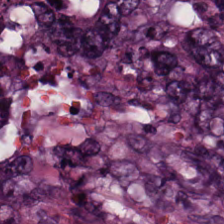H&E-stained tissue section · 224×224 px patch — Finding — colorectal adenocarcinoma epithelium.
